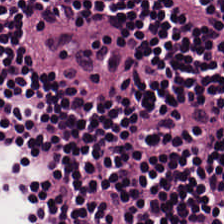Whole-slide-image patch. 0.5 µm per pixel. H&E-stained tissue section. Tissue: lymphoid infiltrate.
